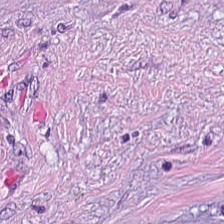H&E-stained tissue section.
Classification — cancer-associated stroma.
